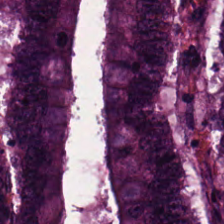WSI patch; hematoxylin-and-eosin stained section. The predominant tissue is colorectal adenocarcinoma.
